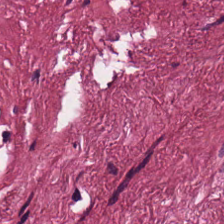This field is tumor-associated stroma.
